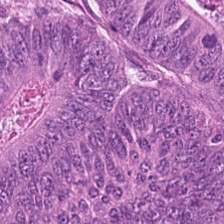Hematoxylin-and-eosin stained section · FFPE tissue section. The predominant tissue is tumor epithelium.
